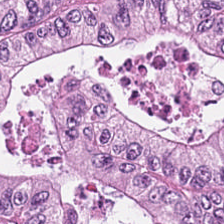Brightfield; 224×224 px patch; H&E.
Classification: malignant epithelium.
